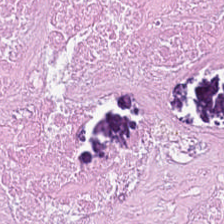0.5 µm/px. 224×224 px patch. Hematoxylin and eosin. Showing necrotic debris.
